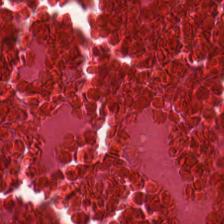Hematoxylin and eosin. 0.5 µm/px. Tissue class — debris.
